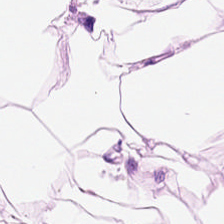Classification — adipocytes.
